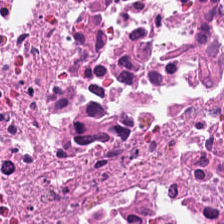Impression — debris.
